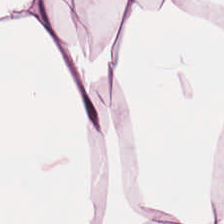Stain: H&E.
Preparation: FFPE tissue section.
Predominant tissue: fat tissue.
